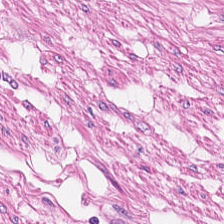H&E-stained tissue section · FFPE tissue section.
This field is muscularis.
